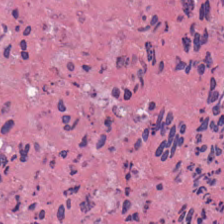Cellular debris.
